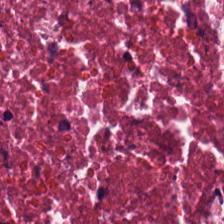Impression → cellular debris.
